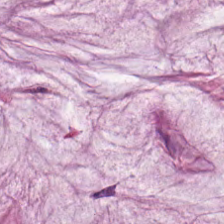{"tissue_type": "extracellular mucin"}
